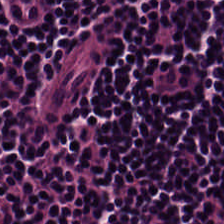H&E.
Lymphocytic infiltrate.
